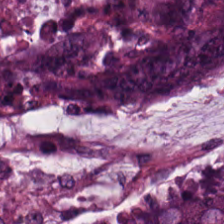224×224 px tile · H&E-stained tissue section · 0.5 microns per pixel.
{"tissue_type": "malignant epithelium"}
